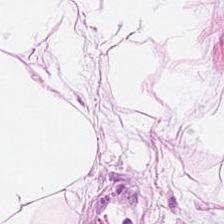Hematoxylin and eosin.
Predominantly fat tissue.
